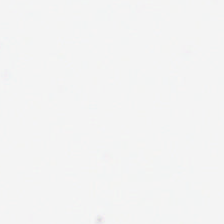Hematoxylin and eosin. Q: What is shown here?
A: The field shows background (no tissue).
